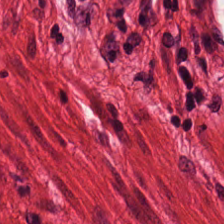Hematoxylin and eosin — Q: What is shown in this field?
A: The field shows smooth-muscle tissue.
